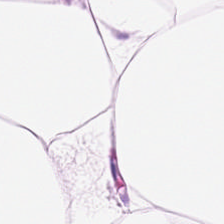Hematoxylin-and-eosin stained section — Predominantly fat tissue.
